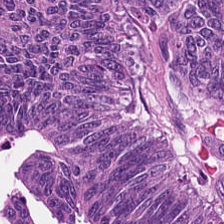H&E · brightfield — The tissue here is colorectal adenocarcinoma.
